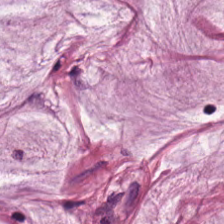224×224 px patch; H&E stain; whole-slide-image patch — Q: What type of tissue is this?
A: Extracellular mucin.
